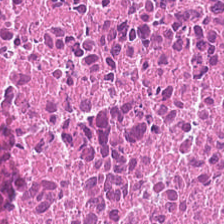Stain: hematoxylin and eosin.
Tissue: cellular debris.
